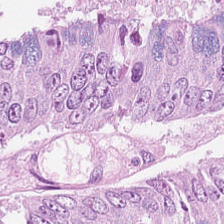H&E; 0.5 microns per pixel.
{"tissue_type": "colorectal adenocarcinoma"}
